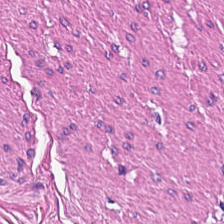{"tissue_type": "smooth-muscle tissue"}
